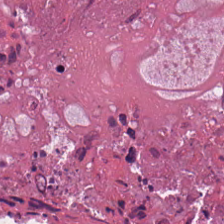Hematoxylin-and-eosin stained section. Tissue class — cellular debris.
